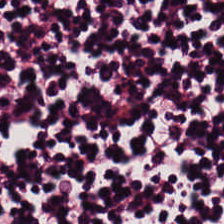H&E; FFPE.
The tissue here is lymphoid infiltrate.
